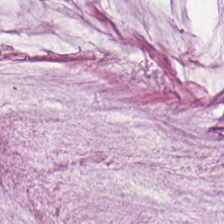Stain: H&E stain.
Preparation: FFPE.
Predominant tissue: mucin.
